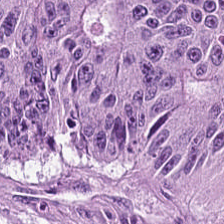Whole-slide-image patch; 224×224 pixel tile; H&E stain. Q: What does this patch show?
A: It is colorectal adenocarcinoma epithelium.
